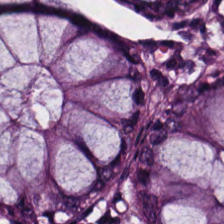Stain: H&E-stained tissue section.
Tissue: non-neoplastic colon mucosa.
